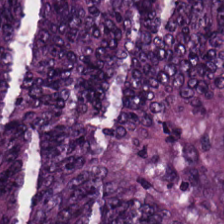H&E stain. Tissue class — adenocarcinoma.
